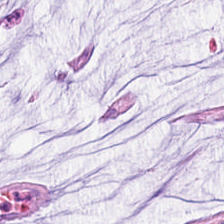This patch shows mucin.
